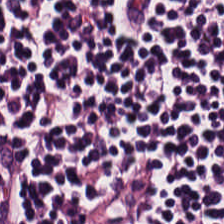H&E stain; 224×224 px tile.
The tissue here is lymphocytic infiltrate.
